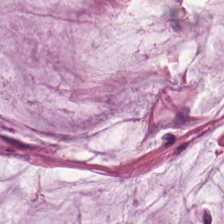H&E patch showing mucus.
